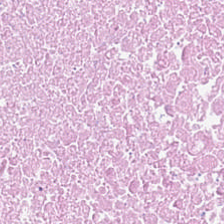Hematoxylin-and-eosin stained section — Showing necrotic debris.
